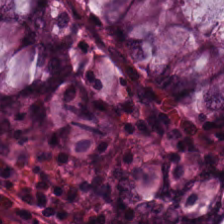H&E stain · FFPE tissue section · 224×224 px tile — Predominantly benign colonic mucosa.
